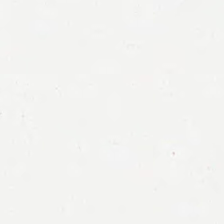224×224 px tile · hematoxylin-and-eosin stained section — Empty background.
